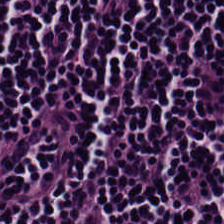The tissue is lymphocytes.
